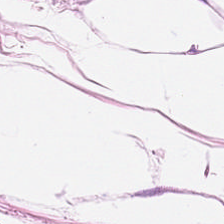H&E; 20× equivalent magnification. Tissue — fat tissue.
